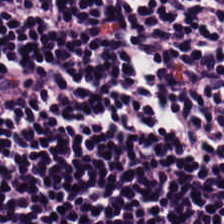Stain: hematoxylin-and-eosin stained section.
Tissue type: lymphoid infiltrate.
